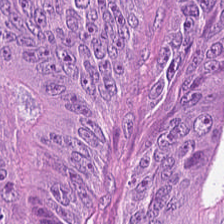Formalin-fixed paraffin-embedded section · H&E.
The predominant tissue is tumor epithelium.
